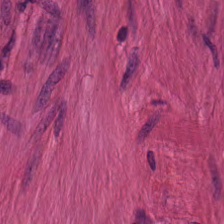Hematoxylin and eosin; WSI patch — {"tissue_type": "smooth-muscle tissue"}
